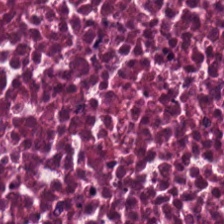H&E stain. This patch shows necrotic debris.
